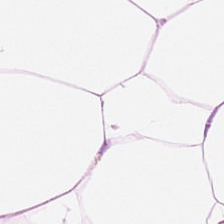Stain: H&E-stained tissue section.
Resolution: 0.5 µm per pixel.
Tile size: 224×224 px patch.
Predominant tissue: adipose tissue.
